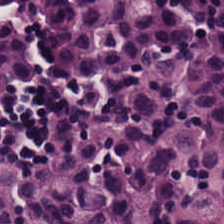Hematoxylin-and-eosin stained section; brightfield. The tissue type is lymphocyte aggregate.
